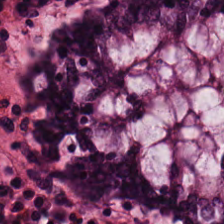H&E; 0.5 µm per pixel — Showing non-neoplastic colon mucosa.
